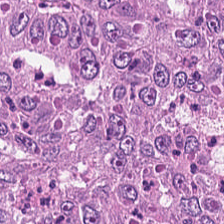Hematoxylin and eosin — Tissue type: tumor epithelium.
